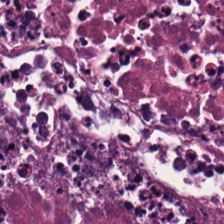Formalin-fixed paraffin-embedded section. Whole-slide-image patch. Hematoxylin-and-eosin stained section. Tissue — cellular debris.
